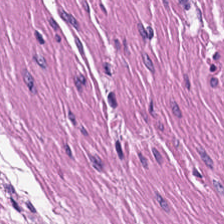H&E · 224×224 px tile · WSI patch. This patch shows smooth-muscle tissue.
